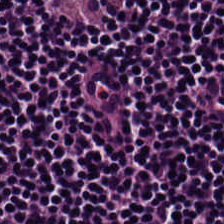Hematoxylin-and-eosin stained section — Finding → lymphoid infiltrate.
